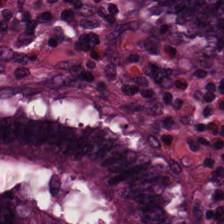FFPE tissue section. H&E-stained tissue section. 224×224 px patch. The predominant tissue is normal colonic mucosa.
